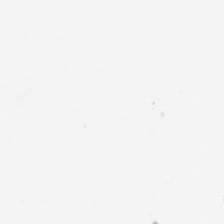Q: What is shown here?
A: It is background (no tissue).
